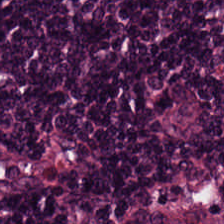Hematoxylin-and-eosin stained section — The tissue here is lymphoid infiltrate.
